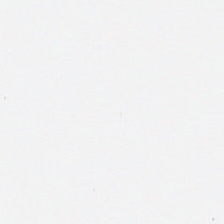Empty field — background.
